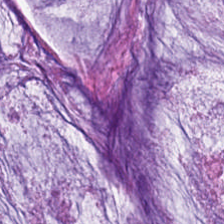H&E-stained tissue section — Showing mucus.
